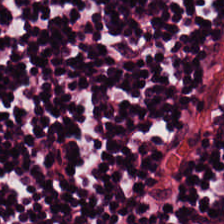H&E-stained tissue section. Formalin-fixed paraffin-embedded section. Brightfield microscopy.
The predominant tissue is lymphocyte aggregate.
